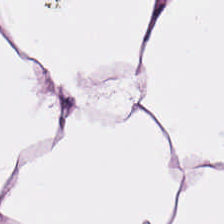Hematoxylin-and-eosin section: fat tissue.
